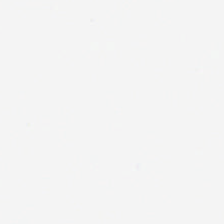H&E-stained tissue section · whole-slide-image patch — The content is empty background.
